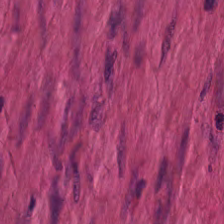Histology — smooth muscle.
